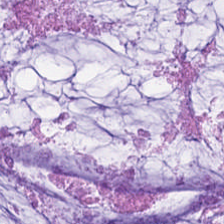FFPE tissue section · hematoxylin and eosin.
This patch shows mucus.
